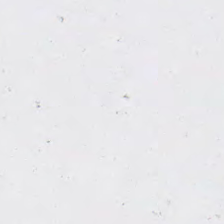Stain: H&E.
Content: empty background.
